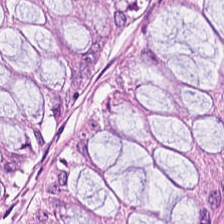Hematoxylin and eosin. Classification: normal colonic mucosa.
